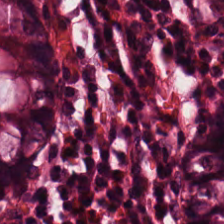Hematoxylin-and-eosin stained section. Whole-slide-image patch. Predominantly normal colon mucosa.
